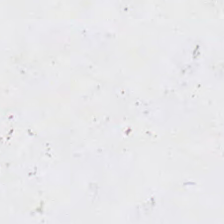Background — no tissue in this field.
